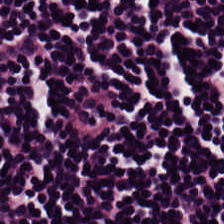H&E-stained tissue section.
Q: Identify the tissue.
A: The field shows lymphocytes.
